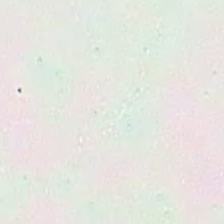Stain: hematoxylin and eosin.
Content: background.
